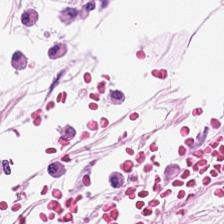H&E stain — This field is adipose.
